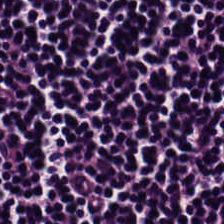Hematoxylin-and-eosin stained section.
Q: What is the predominant tissue type?
A: Lymphocyte aggregate.
